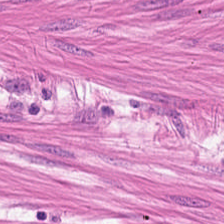H&E stain · FFPE tissue section.
Tissue: smooth muscle.
